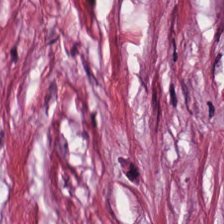H&E; formalin-fixed paraffin-embedded section.
Q: Classify this patch.
A: It is tumor-associated stroma.
